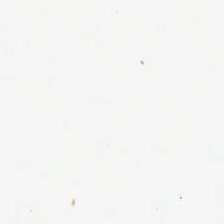FFPE. Brightfield microscopy. H&E — Background — no tissue in this field.
